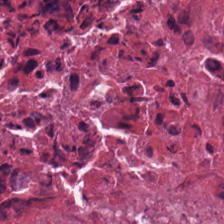H&E. 0.5 µm/px. 224×224 px tile — This field is debris.
